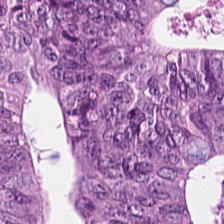Tissue class: malignant epithelium.
